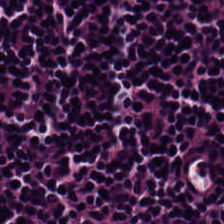H&E; 224×224 px tile — Impression — lymphocytic infiltrate.
